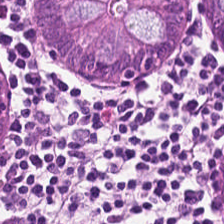H&E-stained tissue section. Predominant tissue — non-neoplastic colon mucosa.
